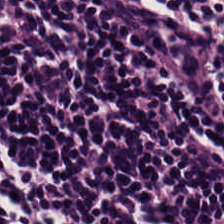Stain: H&E-stained tissue section.
Tissue class: lymphocytic infiltrate.
